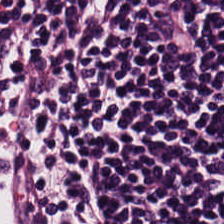Q: What tissue is shown?
A: It is lymphocytic infiltrate.
